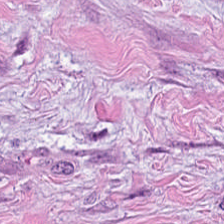Hematoxylin and eosin — This field is cancer-associated stroma.
